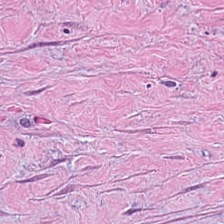Hematoxylin and eosin · brightfield microscopy — Finding — desmoplastic stroma.
